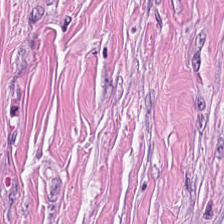Q: What tissue is shown?
A: Tumor-associated stroma.
